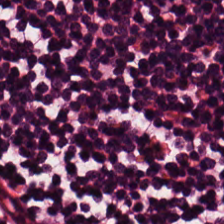Histology → lymphocytes.
